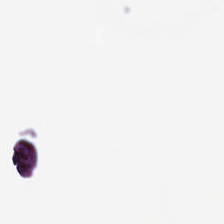Stain: H&E stain.
Classification: no tissue.
